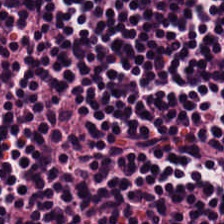Stain: H&E.
Tissue type: lymphocytic infiltrate.
